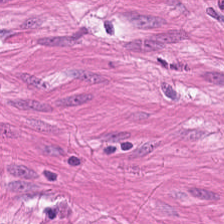H&E-stained tissue section.
Classification = smooth muscle.
